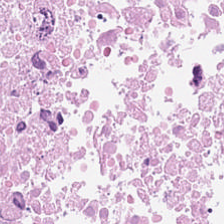H&E-stained tissue section. Tissue = necrotic debris.
